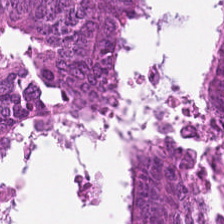Stain: H&E stain.
Tile size: 224×224 pixel tile.
Predominant tissue: adenocarcinoma.
